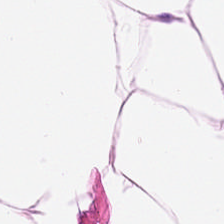Predominant tissue: fat tissue.
